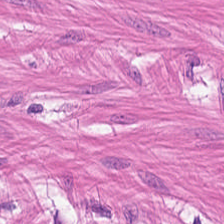Whole-slide-image patch · H&E.
This patch shows muscularis.
